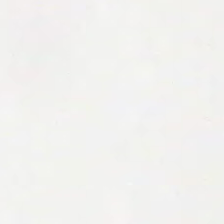H&E. No tissue present; background only.
